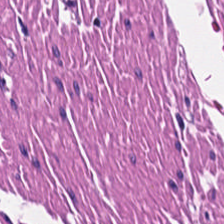H&E. This field is muscularis.
